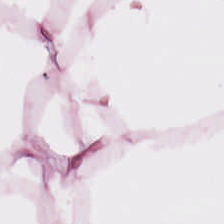Stain: H&E.
Preparation: formalin-fixed paraffin-embedded section.
Classification: fat tissue.
